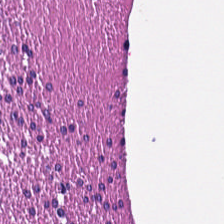Hematoxylin-and-eosin stained section. Predominantly muscularis.
